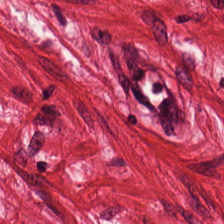Histology → smooth-muscle tissue.
